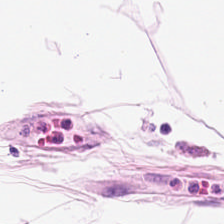H&E stain.
Predominant tissue = adipocytes.
